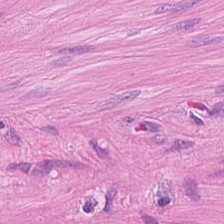FFPE tissue section · H&E stain · 0.5 µm/px. The predominant tissue is muscularis.
